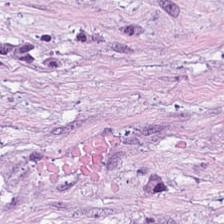H&E stain · WSI patch. The tissue type is desmoplastic stroma.
